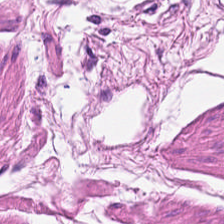H&E stain; 0.5 µm/px; 224×224 px tile. This field is smooth-muscle tissue.
